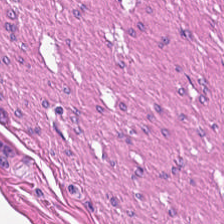FFPE. H&E-stained tissue section.
Showing muscularis.
